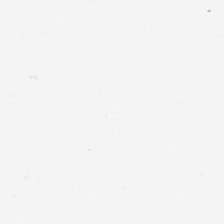20× equivalent magnification · hematoxylin and eosin — Finding — background (no tissue).
